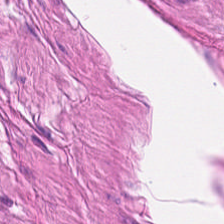Hematoxylin-and-eosin stained section · 224×224 px patch · brightfield. The classification is smooth muscle.
